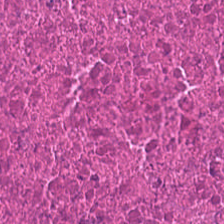H&E; formalin-fixed paraffin-embedded section.
This field is cellular debris.
